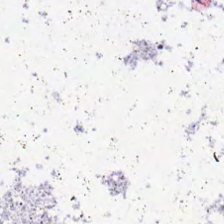Hematoxylin and eosin. Field content — empty background.
